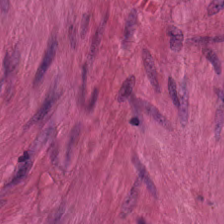Hematoxylin-and-eosin stained section · brightfield microscopy · FFPE tissue section — Impression → muscularis.
